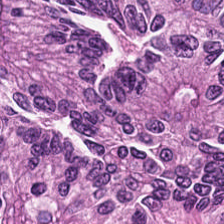H&E-stained tissue section — Q: Classify this patch.
A: It is colorectal adenocarcinoma epithelium.
